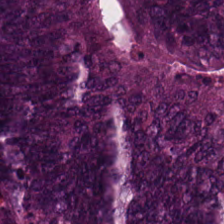Hematoxylin-and-eosin stained section; FFPE tissue section. Histology → adenocarcinoma.
